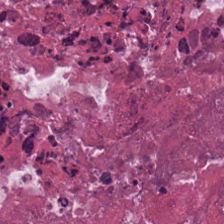Q: Classify this patch.
A: The field shows debris.
